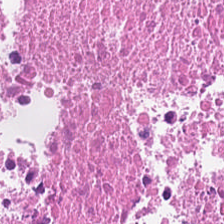H&E-stained tissue section — Tissue class = debris.
